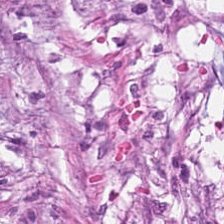{"tissue_type": "tumor-associated stroma"}
